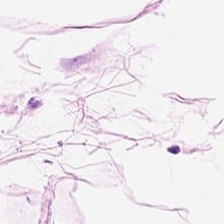WSI patch. 20× equivalent magnification. H&E-stained tissue section — Predominantly adipose tissue.
